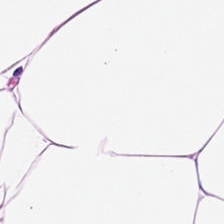0.5 µm per pixel. H&E-stained tissue section. {"tissue_type": "fat tissue"}
